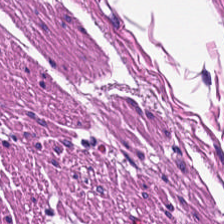Stain: H&E stain.
Tissue: smooth-muscle tissue.
